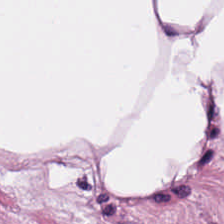Hematoxylin and eosin. The tissue class is adipose tissue.
